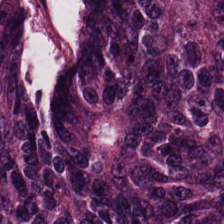Q: What does this patch show?
A: This is adenocarcinoma.
